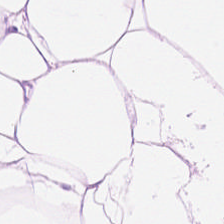Hematoxylin-and-eosin stained section; WSI patch — Predominant tissue = fat tissue.
